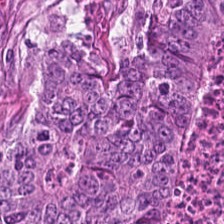H&E. Adenocarcinoma.
